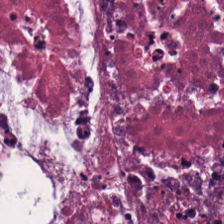Stain: H&E.
Resolution: 0.5 microns per pixel.
Predominant tissue: cellular debris.
